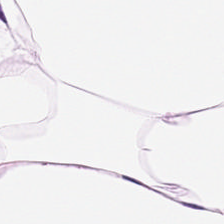Brightfield. Hematoxylin-and-eosin stained section.
Tissue class: adipocytes.
